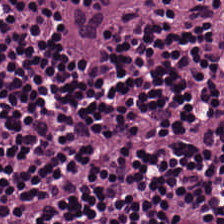0.5 µm/px. Hematoxylin-and-eosin stained section. Tissue — lymphocytic infiltrate.
